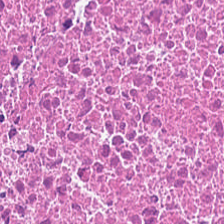H&E stain. Necrotic debris.
